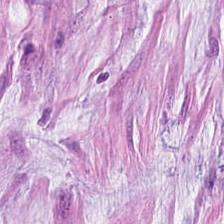Hematoxylin and eosin — Mucus.
